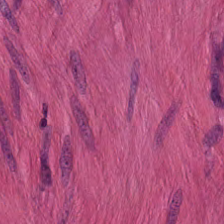Hematoxylin and eosin — This patch shows smooth-muscle tissue.
